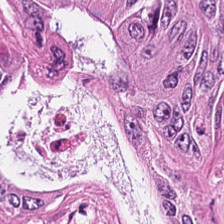H&E-stained tissue section; 20× equivalent magnification.
The tissue here is tumor epithelium.
